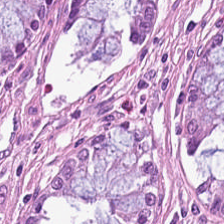Stain: hematoxylin and eosin.
Tissue class: normal colonic mucosa.
